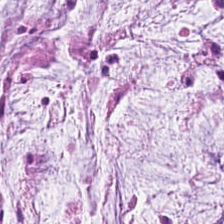Stain: H&E stain.
Classification: mucin.
